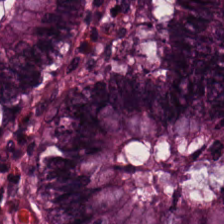20× equivalent magnification. H&E.
The predominant tissue is normal colon mucosa.
